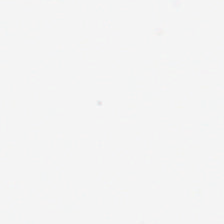FFPE · H&E · 0.5 microns per pixel. The classification is empty background.
